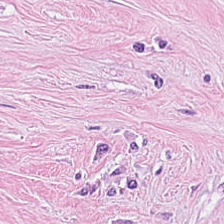Stain: hematoxylin and eosin.
Tile size: 224×224 px tile.
Predominant tissue: desmoplastic stroma.
